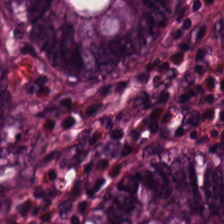H&E-stained tissue section. Brightfield microscopy. 224×224 px patch. Q: What is the predominant tissue type?
A: It is normal colon mucosa.
